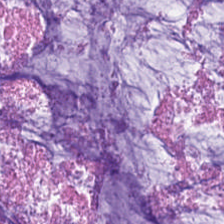Q: What tissue type is shown here?
A: The field shows mucin.
